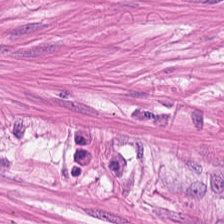H&E. 224×224 px patch.
Showing smooth-muscle tissue.
